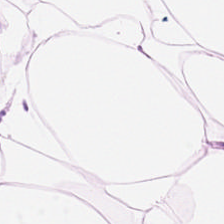H&E-stained tissue section showing adipose.
